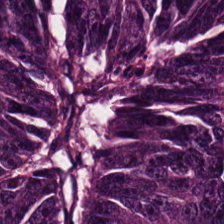Hematoxylin and eosin — Histology — adenocarcinoma.
